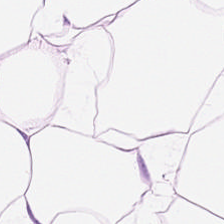Hematoxylin and eosin. 224×224 pixel tile — The tissue class is adipocytes.
